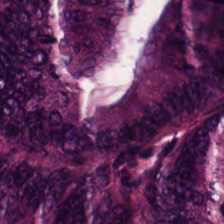FFPE tissue section · H&E stain — The tissue here is tumor epithelium.
